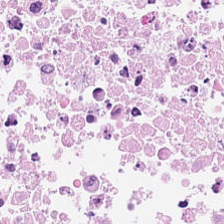Stain: H&E.
Tissue class: necrotic debris.
